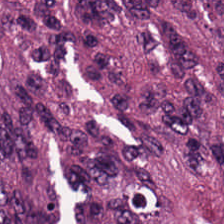224×224 px patch; hematoxylin and eosin; brightfield microscopy — {"tissue_type": "adenocarcinoma"}
